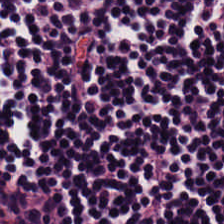Tissue = lymphoid infiltrate.
